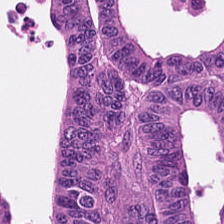Hematoxylin-and-eosin stained section; 224×224 pixel tile. Q: Classify this patch.
A: The field shows colorectal adenocarcinoma.
